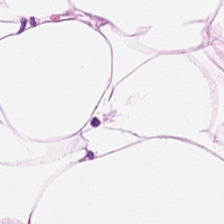Hematoxylin and eosin.
Histology — adipose.
